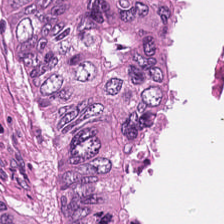H&E stain — Predominant tissue — cellular debris.
